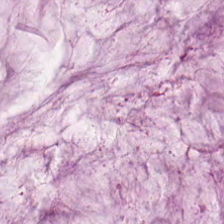Stain: H&E stain.
Predominant tissue: extracellular mucin.
